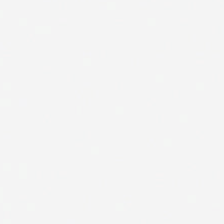Formalin-fixed paraffin-embedded section. H&E. 0.5 microns per pixel. Field content: background.
